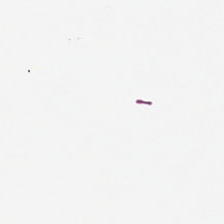H&E-stained tissue section; formalin-fixed paraffin-embedded section; WSI patch — This patch shows no tissue.
